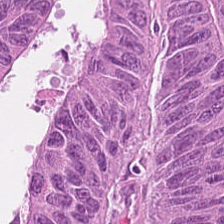H&E — Q: What tissue is shown?
A: The field shows adenocarcinoma.
